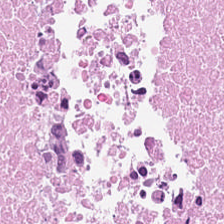Stain: hematoxylin-and-eosin stained section.
Classification: necrotic debris.
